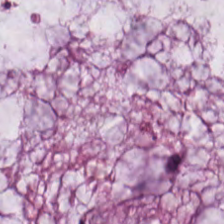H&E · brightfield microscopy. The predominant tissue is extracellular mucin.
